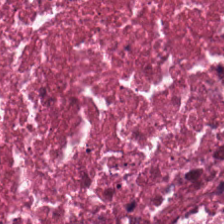The classification is debris.
